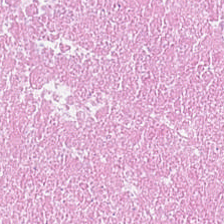Stain: H&E-stained tissue section.
Preparation: FFPE tissue section.
Classification: necrotic debris.
